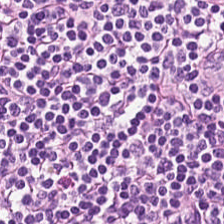H&E-stained tissue section — The predominant tissue is lymphocytes.
